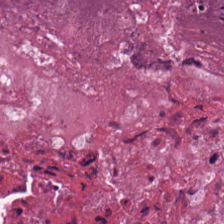Hematoxylin and eosin.
Impression — debris.
